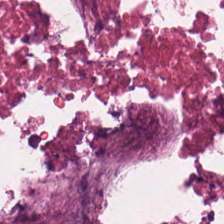Stain: H&E stain.
Preparation: FFPE tissue section.
Tissue class: cellular debris.
